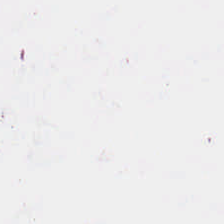Hematoxylin and eosin. Q: What does this patch show?
A: Background (no tissue).
